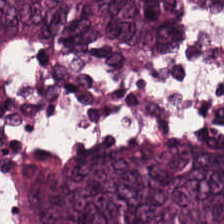H&E patch showing colorectal adenocarcinoma.
